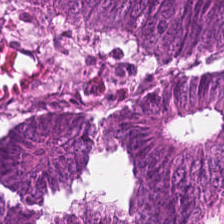Brightfield; H&E. Adenocarcinoma.
